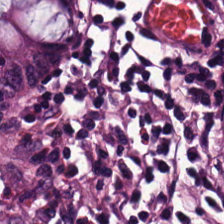H&E stain. Q: What is shown here?
A: Normal colon mucosa.
